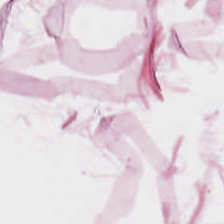Hematoxylin-and-eosin stained section; 224×224 pixel tile — This patch shows adipocytes.
